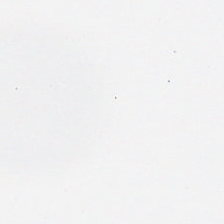Hematoxylin-and-eosin stained section. Q: Classify this patch.
A: The field shows background (no tissue).
